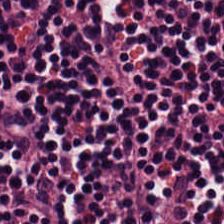Formalin-fixed paraffin-embedded section · H&E-stained tissue section · brightfield microscopy. Predominantly lymphocytic infiltrate.
